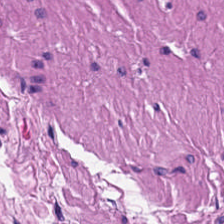Hematoxylin-and-eosin section: smooth muscle.
